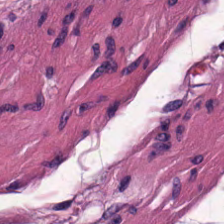FFPE · hematoxylin and eosin.
{"tissue_type": "smooth-muscle tissue"}
